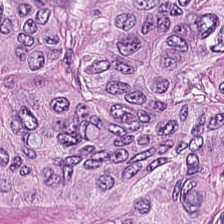0.5 µm per pixel; H&E-stained tissue section. The classification is tumor epithelium.
